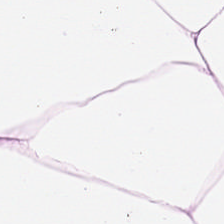H&E-stained tissue section. This patch shows adipocytes.
